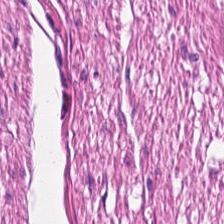H&E-stained section; the field shows muscularis.
